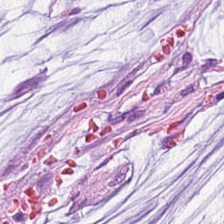Impression → mucin.
